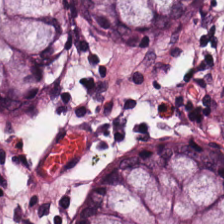H&E-stained tissue section.
Histology → normal colonic mucosa.
